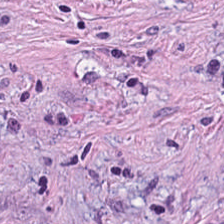H&E · FFPE tissue section — Tissue class — tumor-associated stroma.
